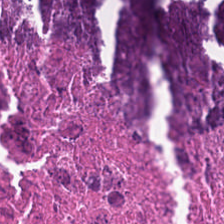Stain: hematoxylin-and-eosin stained section.
Preparation: formalin-fixed paraffin-embedded section.
Tissue class: cellular debris.
